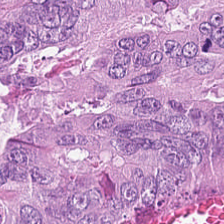Hematoxylin-and-eosin stained section · 224×224 px tile — Histology — tumor epithelium.
